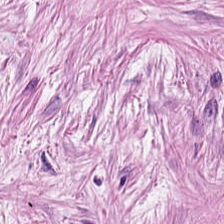H&E-stained tissue section. This patch shows tumor stroma.
